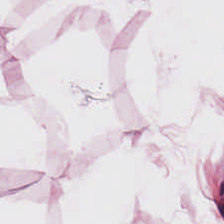Hematoxylin-and-eosin stained section.
Predominantly adipose.
